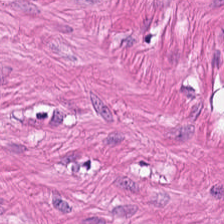H&E stain · 224×224 px tile.
Muscularis.
